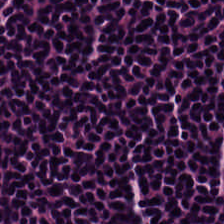H&E.
Predominantly lymphocytes.
